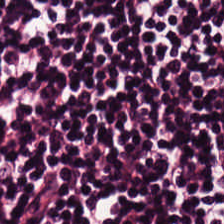Stain: hematoxylin and eosin.
Predominant tissue: lymphocytes.
